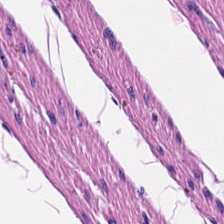Hematoxylin-and-eosin stained section · brightfield microscopy — Tissue class = smooth-muscle tissue.
